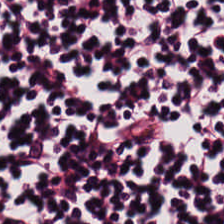Hematoxylin and eosin; FFPE tissue section — Tissue type — lymphoid infiltrate.
